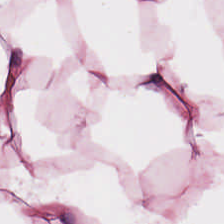Brightfield · H&E stain.
Tissue — adipocytes.
